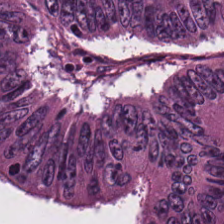Hematoxylin and eosin.
The predominant tissue is colorectal adenocarcinoma epithelium.
